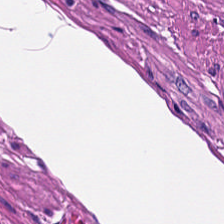Hematoxylin and eosin. Brightfield microscopy. 224×224 px patch. This field is smooth muscle.
